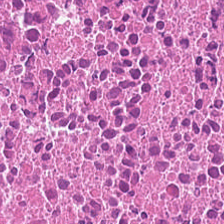224×224 px tile. Hematoxylin and eosin. Histology → debris.
